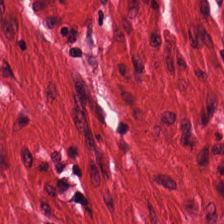H&E.
Tissue — muscularis.
